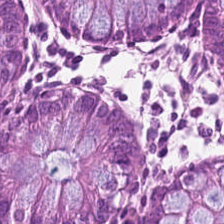Stain: H&E-stained tissue section.
Tissue type: benign colonic mucosa.
